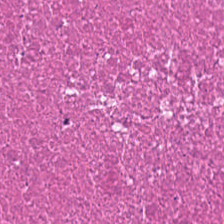FFPE. H&E stain.
Q: Classify this patch.
A: This is cellular debris.
